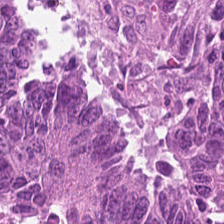H&E-stained tissue section.
Q: Classify this patch.
A: Tumor epithelium.
